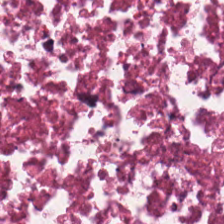The tissue here is debris.
